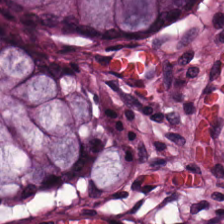0.5 microns per pixel; hematoxylin and eosin; 224×224 px tile — Q: Identify the tissue.
A: It is normal colon mucosa.
